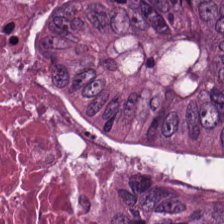Tissue class — debris.
